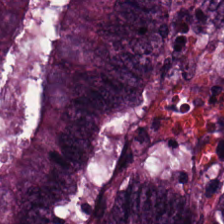FFPE; H&E-stained tissue section.
The tissue class is tumor epithelium.
